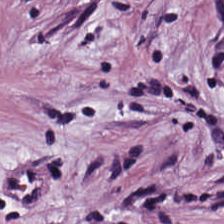{"tissue_type": "desmoplastic stroma"}
